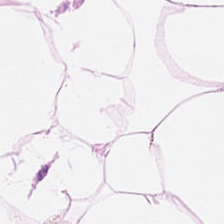Stain: hematoxylin and eosin.
Acquisition: brightfield microscopy.
Resolution: 0.5 µm per pixel.
Tissue class: adipocytes.
